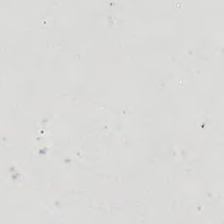Stain: hematoxylin and eosin.
Field content: background.
